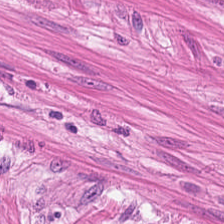Hematoxylin and eosin. The tissue is smooth muscle.
